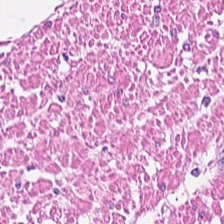Stain: hematoxylin and eosin.
Acquisition: WSI patch.
Classification: smooth-muscle tissue.
